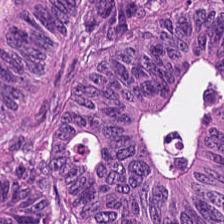{"tissue_type": "colorectal adenocarcinoma"}
